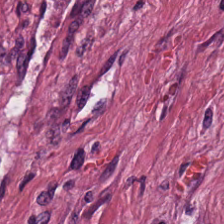H&E-stained tissue section. The predominant tissue is cancer-associated stroma.
